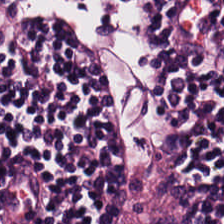Hematoxylin-and-eosin stained section. 0.5 µm/px.
Showing lymphocytic infiltrate.
